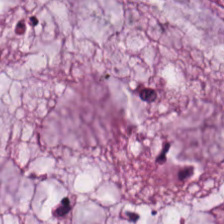H&E stain.
Showing mucin.
